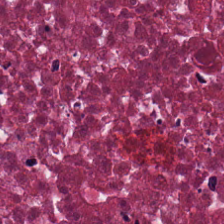Hematoxylin-and-eosin stained section · 224×224 px patch. Predominant tissue = debris.
